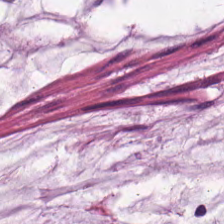Hematoxylin-and-eosin stained section — Impression → mucin.
